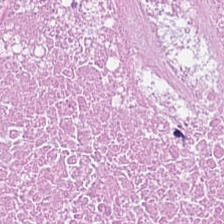WSI patch; hematoxylin-and-eosin stained section — Tissue class — debris.
